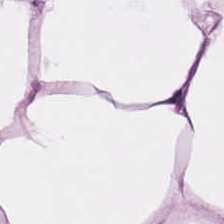Classification = adipocytes.
